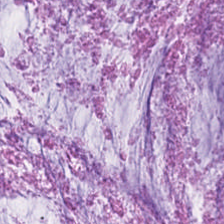224×224 px tile; formalin-fixed paraffin-embedded section; H&E stain.
Q: What does this patch show?
A: The field shows mucus.
